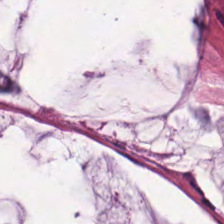Predominant tissue = mucus.
